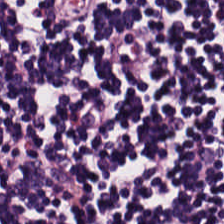20× equivalent magnification. H&E-stained tissue section. Q: What is shown in this field?
A: Lymphocytes.
